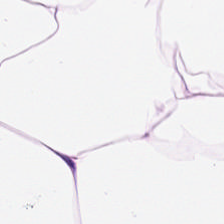Tissue class = adipose tissue.
